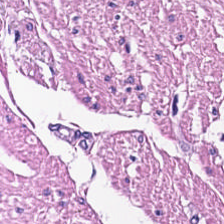H&E — smooth-muscle tissue.
